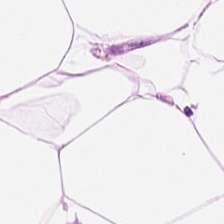Hematoxylin and eosin.
This field is adipose tissue.
